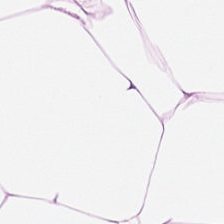H&E-stained tissue section.
This patch shows adipocytes.
